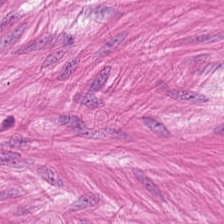Hematoxylin-and-eosin stained section — Showing smooth-muscle tissue.
